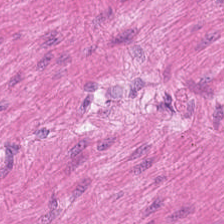224×224 px tile; hematoxylin and eosin.
Impression → smooth-muscle tissue.
